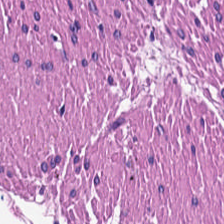0.5 µm per pixel; H&E-stained tissue section. The tissue here is smooth muscle.
